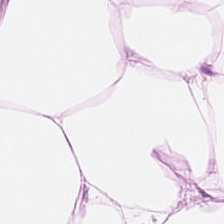Stain: hematoxylin-and-eosin stained section.
Tile size: 224×224 px tile.
Acquisition: brightfield.
Tissue type: adipose tissue.
